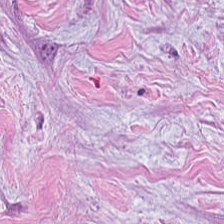0.5 microns per pixel · H&E · 224×224 px tile — Q: Identify the tissue.
A: The field shows cancer-associated stroma.
